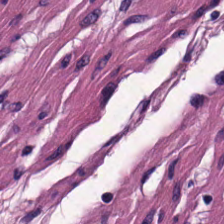H&E-stained tissue section. This patch shows smooth muscle.
